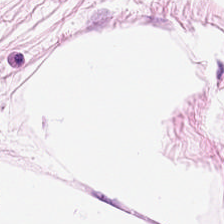Brightfield microscopy · H&E stain — The tissue class is adipose tissue.
